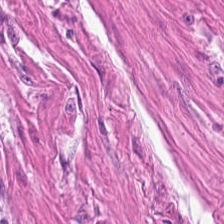H&E stain — The tissue is muscularis.
